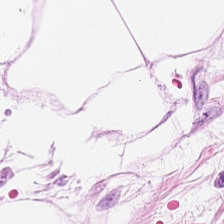Hematoxylin and eosin. Histology — adipocytes.
